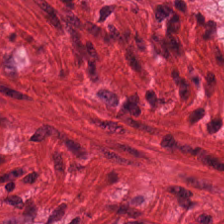H&E-stained tissue section. Showing smooth-muscle tissue.
